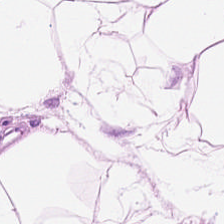H&E stain.
Predominantly adipose tissue.
